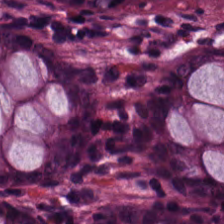H&E patch showing non-neoplastic colon mucosa.
